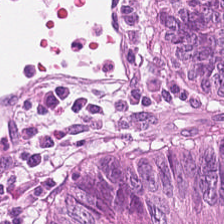Hematoxylin-and-eosin stained section; 224×224 px tile; brightfield — Histology — adenocarcinoma.
